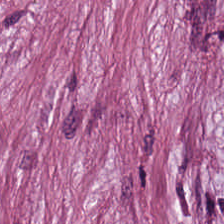H&E-stained tissue section.
Predominantly tumor stroma.
